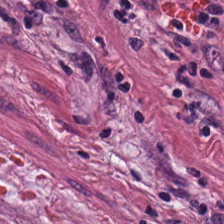This patch shows desmoplastic stroma.
